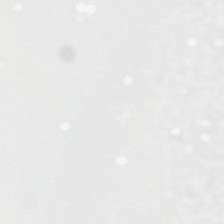Empty field — no tissue.
